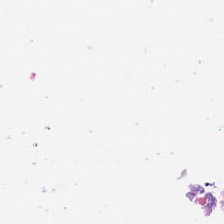Hematoxylin and eosin.
Field content — background.
